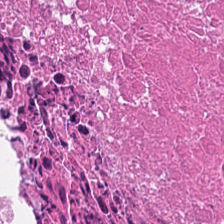0.5 microns per pixel. Hematoxylin-and-eosin stained section. FFPE tissue section — Showing necrotic debris.
